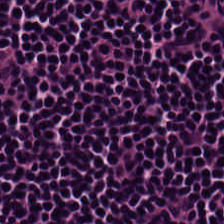Stain: hematoxylin and eosin.
Predominant tissue: lymphocyte aggregate.
